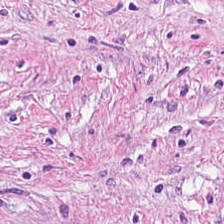H&E-stained tissue section; 224×224 pixel tile. Tissue type = cancer-associated stroma.
